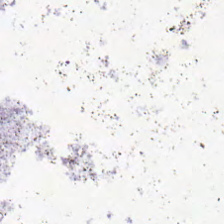H&E-stained tissue section.
Content: no tissue.
